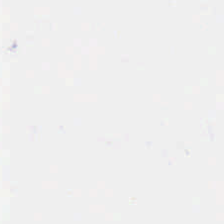H&E-stained tissue section. Background — no tissue in this field.
